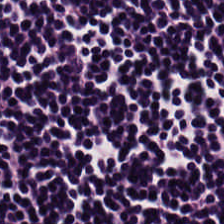H&E-stained tissue section.
The tissue here is lymphocyte aggregate.
